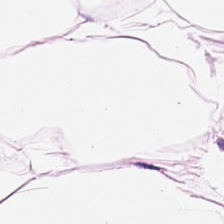H&E. This patch shows adipose.
